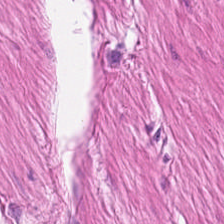224×224 pixel tile · FFPE tissue section · hematoxylin and eosin.
Showing smooth-muscle tissue.
